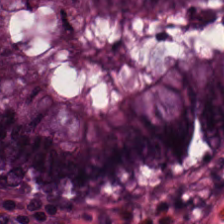H&E stain — Q: What is shown in this field?
A: This is non-neoplastic colon mucosa.
